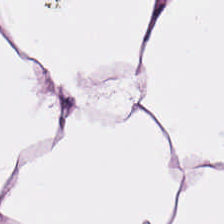H&E stain; WSI patch.
The tissue class is adipose tissue.
